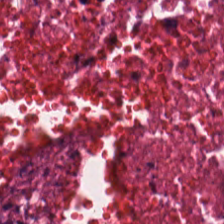FFPE · H&E stain. Classification: debris.
